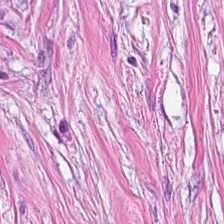Brightfield microscopy. Hematoxylin and eosin — This patch shows tumor stroma.
